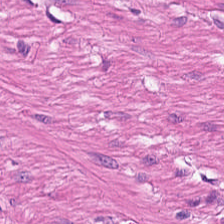{"tissue_type": "smooth muscle"}
